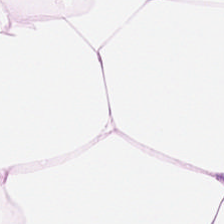{"tissue_type": "adipose"}
